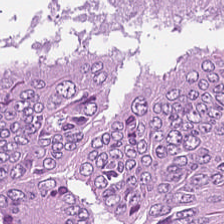H&E-stained tissue section — Tissue: malignant epithelium.
